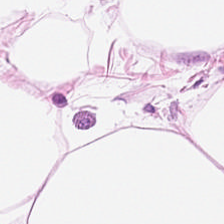Hematoxylin and eosin.
Showing fat tissue.
